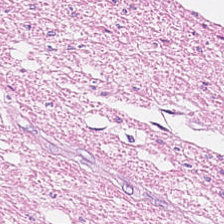Predominant tissue — smooth muscle.
